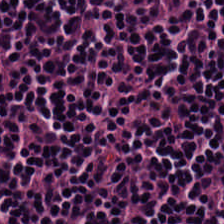Brightfield. H&E. {"tissue_type": "lymphocyte aggregate"}
